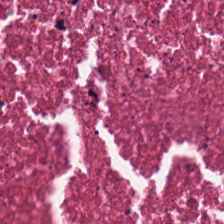Stain: H&E-stained tissue section.
Tissue type: necrotic debris.
